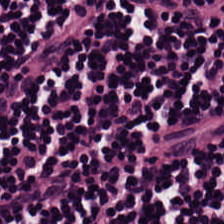H&E-stained tissue section. Brightfield. This field is lymphocytes.
